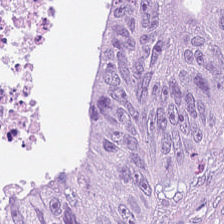224×224 px patch. H&E. Brightfield.
Q: What does this patch show?
A: This is malignant epithelium.
